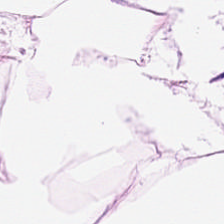Stain: hematoxylin-and-eosin stained section.
Resolution: 20× equivalent magnification.
Classification: adipocytes.
